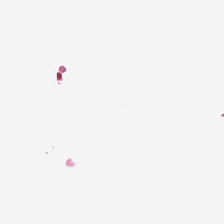H&E stain · 224×224 pixel tile · WSI patch. Background (no tissue).
